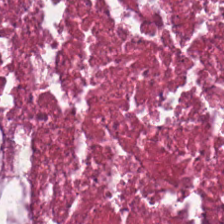Hematoxylin and eosin. Formalin-fixed paraffin-embedded section — The classification is cellular debris.
